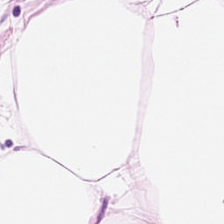Stain: H&E-stained tissue section.
Predominant tissue: adipose.
